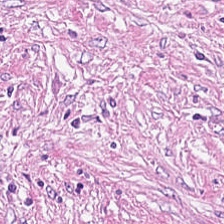H&E. Predominantly tumor stroma.
